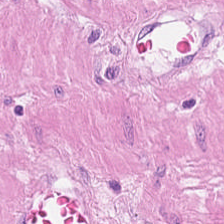H&E-stained tissue section — Showing smooth muscle.
